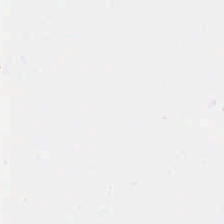Hematoxylin-and-eosin stained section. Finding — background (no tissue).
